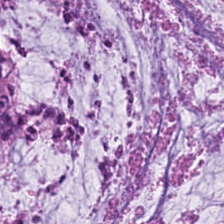H&E.
Mucus.
